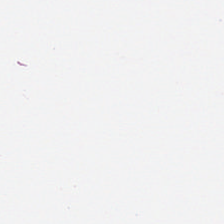Hematoxylin and eosin. The content is no tissue.
